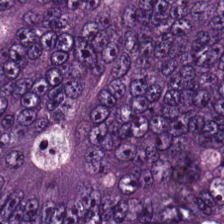Hematoxylin and eosin. 224×224 px tile.
Tissue: adenocarcinoma.
